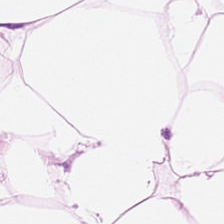H&E-stained tissue section · brightfield — This patch shows adipocytes.
